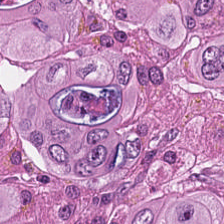Brightfield · H&E-stained tissue section · 20× equivalent magnification. Tissue type: colorectal adenocarcinoma.
